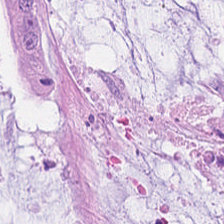H&E stain; formalin-fixed paraffin-embedded section. The predominant tissue is mucin.
